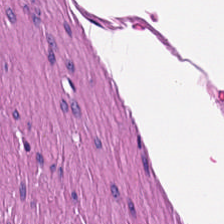Hematoxylin-and-eosin section: smooth-muscle tissue.
